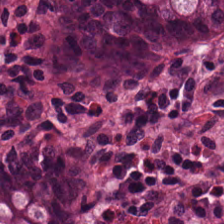224×224 pixel tile. H&E stain — Tissue type — non-neoplastic colon mucosa.
